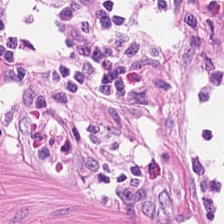H&E. Impression → muscularis.
